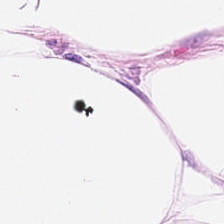224×224 px patch. Hematoxylin-and-eosin stained section. 20× equivalent magnification — The predominant tissue is adipocytes.
